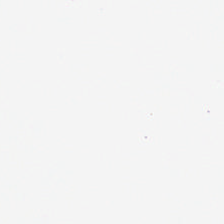0.5 µm per pixel. H&E-stained tissue section. Empty background.
